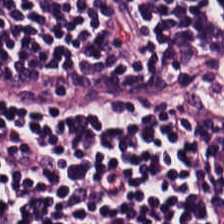224×224 px patch. H&E — The tissue here is lymphocytic infiltrate.
